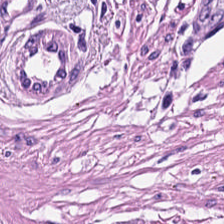224×224 px tile · 0.5 µm per pixel · H&E stain. The tissue here is smooth muscle.
